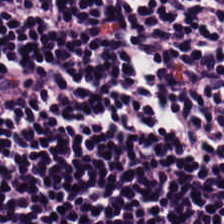Stain: H&E stain.
Resolution: 0.5 µm per pixel.
Predominant tissue: lymphocyte aggregate.
